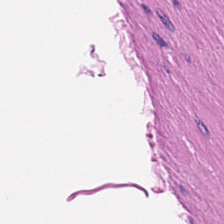Hematoxylin-and-eosin stained section. {"tissue_type": "muscularis"}
